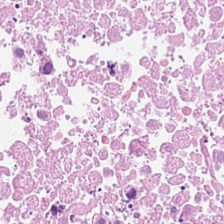H&E; 0.5 µm per pixel. Q: What tissue type is shown here?
A: The field shows debris.
